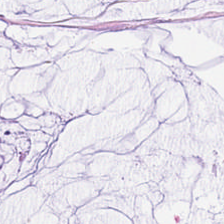H&E-stained tissue section. FFPE tissue section. 0.5 µm per pixel.
Predominantly mucin.
